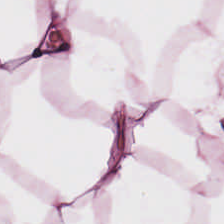H&E stain · 224×224 px tile · formalin-fixed paraffin-embedded section.
Adipose tissue.
